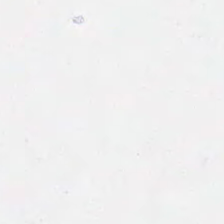H&E; brightfield microscopy — Empty field — empty background.
